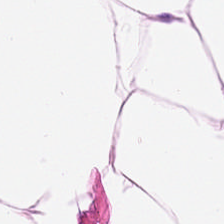H&E stain — Q: What type of tissue is this?
A: The field shows adipocytes.
